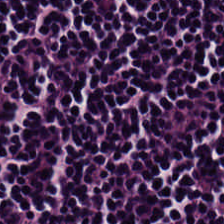Classification: lymphoid infiltrate.
